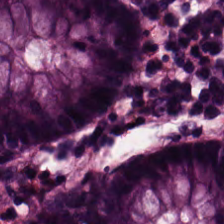H&E stain — The tissue class is non-neoplastic colon mucosa.
